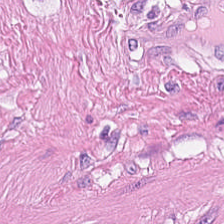FFPE tissue section; H&E stain — {"tissue_type": "smooth muscle"}
